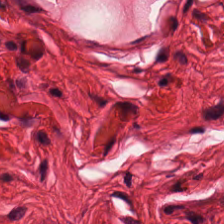Whole-slide-image patch · H&E-stained tissue section.
Predominantly smooth-muscle tissue.
